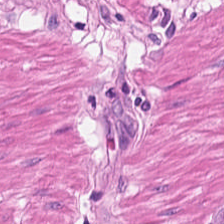Stain: hematoxylin and eosin.
Classification: muscularis.
